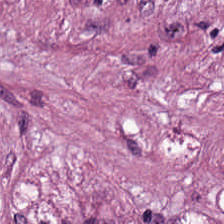Stain: H&E.
Predominant tissue: cancer-associated stroma.
